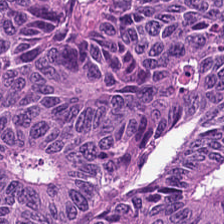FFPE · H&E — The tissue here is colorectal adenocarcinoma epithelium.
